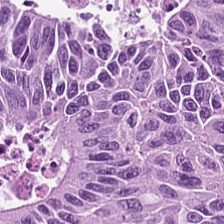H&E. 224×224 pixel tile. 20× equivalent magnification. Tissue type — colorectal adenocarcinoma epithelium.
